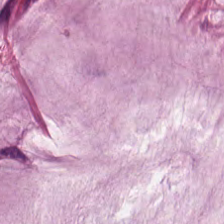The tissue class is mucus.
